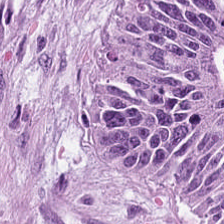Hematoxylin-and-eosin stained section — Impression → colorectal adenocarcinoma.
